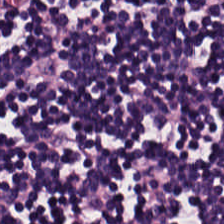Lymphoid infiltrate.
